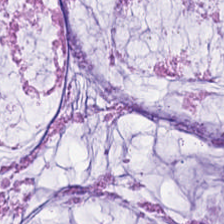H&E-stained tissue section. FFPE tissue section.
Q: What is the predominant tissue type?
A: It is mucus.
